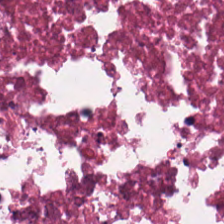Predominantly debris.
